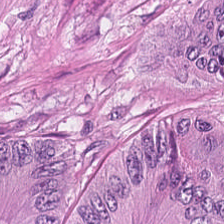Impression — colorectal adenocarcinoma epithelium.
